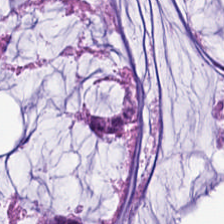Brightfield. H&E. 0.5 microns per pixel — This field is mucin.
